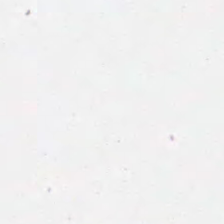H&E-stained tissue section — Q: What does this patch show?
A: No tissue.
